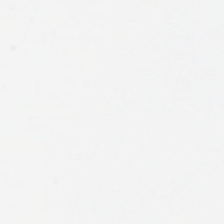Stain: H&E.
Resolution: 0.5 µm per pixel.
Classification: background (no tissue).
